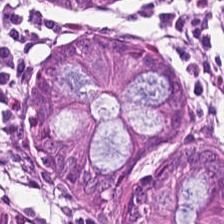Hematoxylin and eosin — Impression — normal colonic mucosa.
